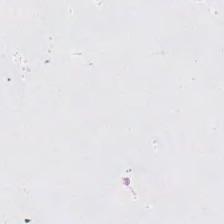Hematoxylin-and-eosin stained section. Q: What does this patch show?
A: The field shows no tissue.
